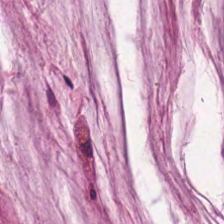Hematoxylin and eosin · FFPE · 224×224 px tile. The tissue here is mucin.
